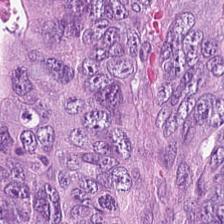224×224 pixel tile · hematoxylin-and-eosin stained section · 20× equivalent magnification — The tissue here is colorectal adenocarcinoma epithelium.
